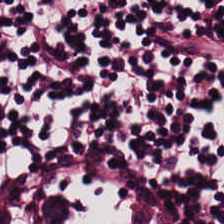Hematoxylin-and-eosin stained section. Q: What tissue type is shown here?
A: It is lymphocyte aggregate.
